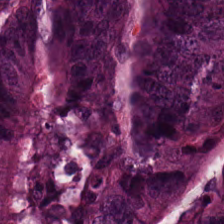H&E-stained tissue section.
Q: What tissue is shown?
A: It is colorectal adenocarcinoma.
